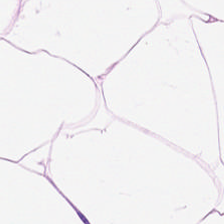H&E-stained tissue section.
{"tissue_type": "adipocytes"}
